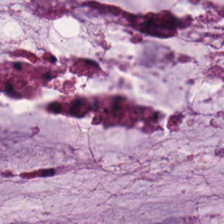Hematoxylin and eosin. Formalin-fixed paraffin-embedded section — Mucus.
